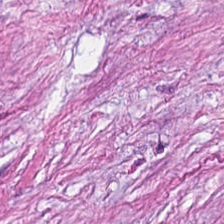Hematoxylin-and-eosin stained section.
Predominant tissue = tumor stroma.
